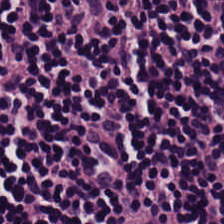H&E. Histology — lymphoid infiltrate.
